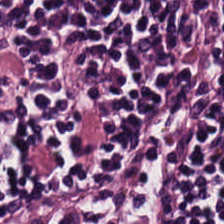Hematoxylin-and-eosin stained section; FFPE.
This patch shows lymphocytes.
